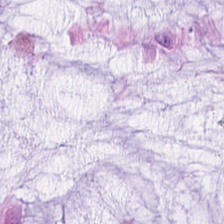Q: What tissue is shown?
A: Extracellular mucin.
